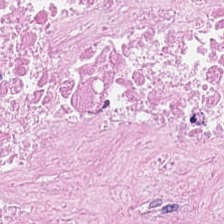Hematoxylin-and-eosin stained section — Predominant tissue: debris.
